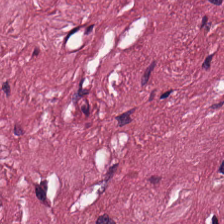H&E stain — Tissue: tumor stroma.
